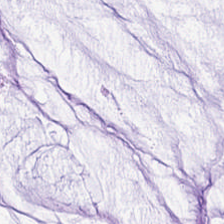Hematoxylin and eosin.
Extracellular mucin.
